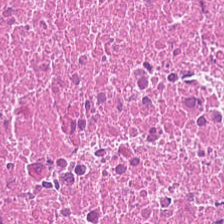Stain: H&E stain.
Tile size: 224×224 pixel tile.
Acquisition: whole-slide-image patch.
Classification: necrotic debris.
